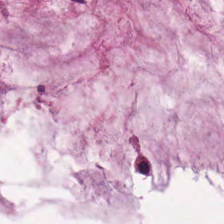H&E stain. Q: What type of tissue is this?
A: Mucus.
